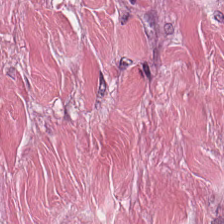224×224 pixel tile; H&E stain — Q: What is shown here?
A: This is desmoplastic stroma.
